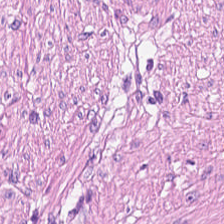Brightfield · hematoxylin-and-eosin stained section · 224×224 pixel tile — Tissue type — muscularis.
